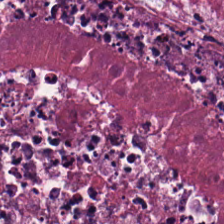WSI patch · hematoxylin and eosin · FFPE tissue section.
Classification = necrotic debris.
